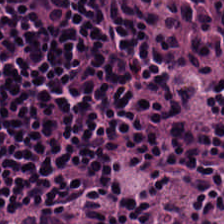Hematoxylin-and-eosin stained section · FFPE · 224×224 px tile — Q: What is shown in this field?
A: It is lymphocytes.
